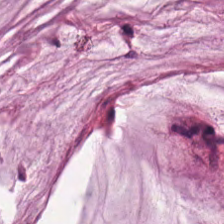Impression — extracellular mucin.
